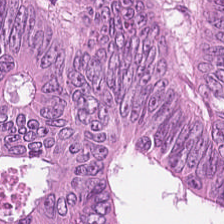Stain: hematoxylin and eosin.
Predominant tissue: colorectal adenocarcinoma.
